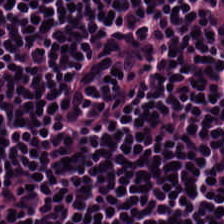FFPE tissue section; hematoxylin and eosin. Impression — lymphocytes.
